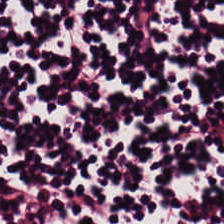Stain: H&E.
Tissue: lymphocyte aggregate.
